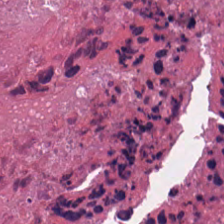H&E stain. 224×224 pixel tile.
{"tissue_type": "necrotic debris"}
